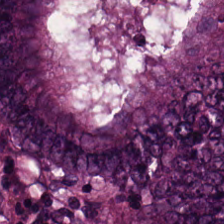H&E-stained tissue section · FFPE. The predominant tissue is adenocarcinoma.
